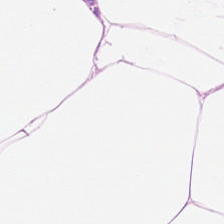H&E stain — Histology — adipose tissue.
